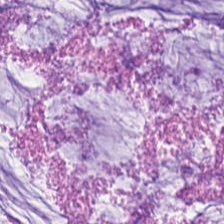This field is mucin.
